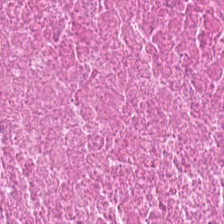H&E patch showing necrotic debris.
